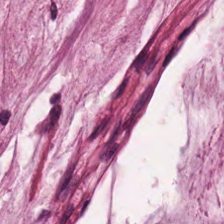This patch shows mucin.
